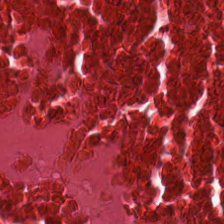224×224 px tile · 0.5 µm per pixel · H&E — Predominant tissue: cellular debris.
